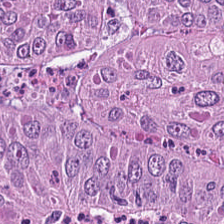Brightfield. H&E. 0.5 µm per pixel. Tissue type = colorectal adenocarcinoma.
